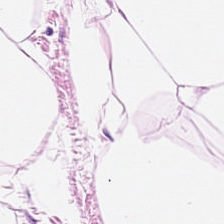This field is fat tissue.
